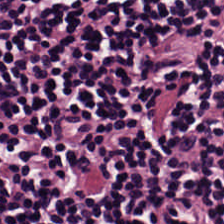H&E-stained tissue section — Q: What is shown in this field?
A: Lymphoid infiltrate.
